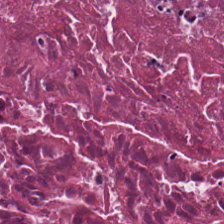Tissue — cellular debris.
